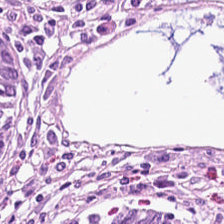H&E-stained tissue section.
Histology — normal colon mucosa.
